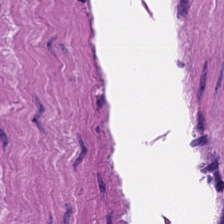224×224 px tile · H&E. This field is smooth-muscle tissue.
